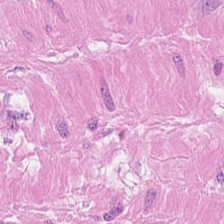Hematoxylin-and-eosin stained section. 0.5 µm/px. Brightfield — Histology → muscularis.
